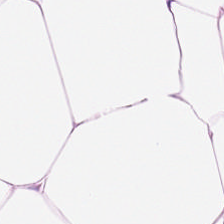Tissue — adipose tissue.
